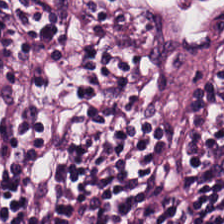Showing lymphocyte aggregate.
